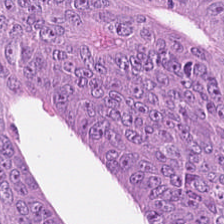224×224 px patch; H&E stain.
The predominant tissue is colorectal adenocarcinoma epithelium.
